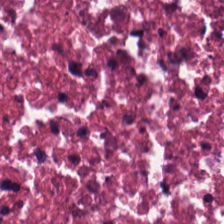Necrotic debris.
